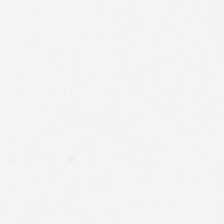0.5 µm/px; H&E stain; whole-slide-image patch — Empty field — background.
